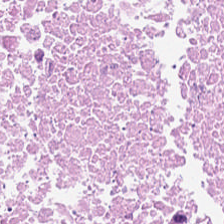H&E-stained tissue section. 0.5 microns per pixel. 224×224 px tile. Showing debris.
